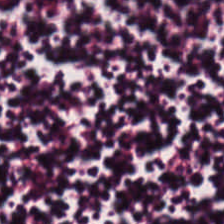Hematoxylin-and-eosin stained section.
{"tissue_type": "lymphocytic infiltrate"}
